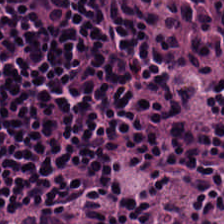H&E; formalin-fixed paraffin-embedded section.
Impression → lymphocytic infiltrate.
